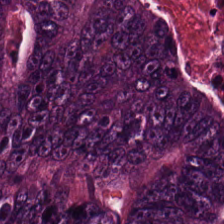H&E stain · 224×224 pixel tile. The tissue class is colorectal adenocarcinoma.
